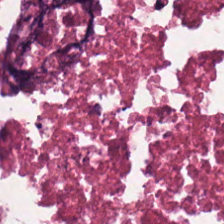H&E-stained tissue section. Q: What is the predominant tissue type?
A: This is cellular debris.
